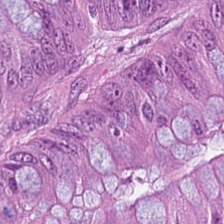Hematoxylin-and-eosin stained section; 224×224 px patch — Tissue class = malignant epithelium.
